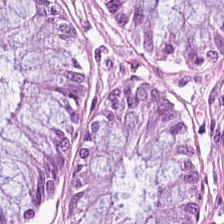FFPE. Hematoxylin and eosin. Brightfield.
Tissue = non-neoplastic colon mucosa.
